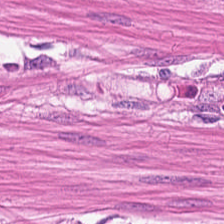224×224 px patch. Hematoxylin-and-eosin stained section — Classification — smooth muscle.
